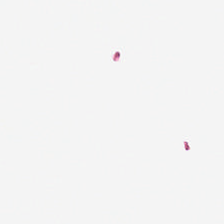H&E. The field content is background (no tissue).
